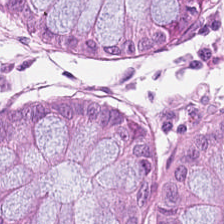H&E — benign colonic mucosa.
